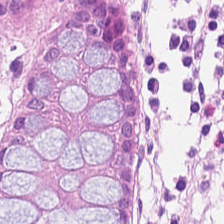H&E-stained tissue section — This patch shows benign colonic mucosa.
